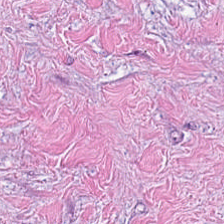Brightfield microscopy. H&E. Formalin-fixed paraffin-embedded section.
Q: What is the predominant tissue type?
A: This is tumor stroma.
